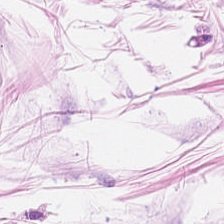H&E; 224×224 px patch. Q: Classify this patch.
A: Adipose tissue.
